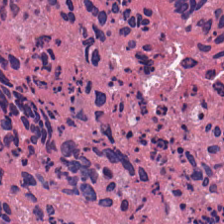Hematoxylin-and-eosin stained section — Finding → necrotic debris.
